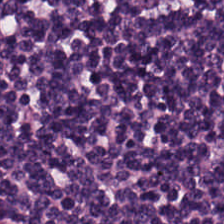Formalin-fixed paraffin-embedded section; H&E.
Q: Classify this patch.
A: It is lymphocyte aggregate.
